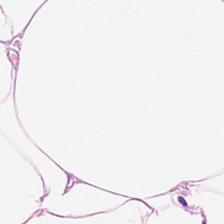20× equivalent magnification; hematoxylin and eosin.
Showing adipose tissue.
